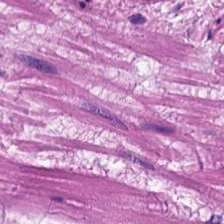Q: What type of tissue is this?
A: The field shows smooth-muscle tissue.
